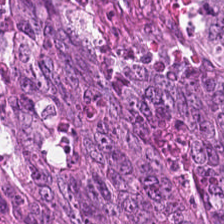Hematoxylin and eosin — {"tissue_type": "tumor epithelium"}
